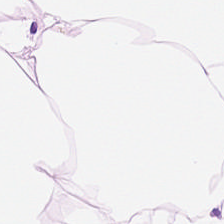Hematoxylin-and-eosin stained section — This field is adipocytes.
